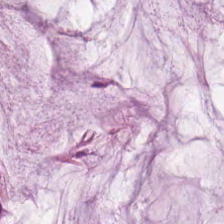H&E-stained tissue section. The predominant tissue is mucin.
